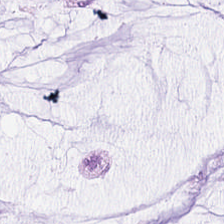Stain: H&E stain.
Acquisition: brightfield.
Tile size: 224×224 px patch.
Tissue class: mucus.
